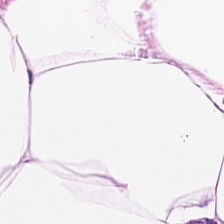This field is fat tissue.
